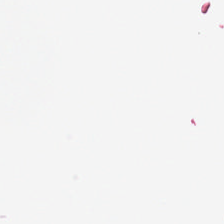Stain: hematoxylin-and-eosin stained section.
Resolution: 0.5 microns per pixel.
Content: empty background.
